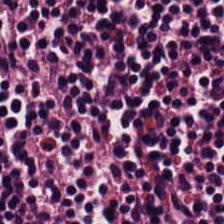Brightfield; hematoxylin and eosin — Predominant tissue — lymphocytic infiltrate.
